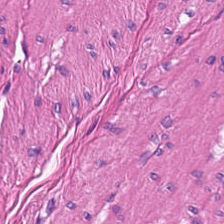20× equivalent magnification. H&E.
The predominant tissue is muscularis.
